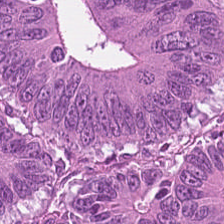Stain: H&E-stained tissue section.
Tissue class: malignant epithelium.
